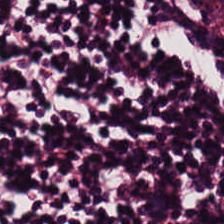Brightfield · 0.5 µm per pixel · hematoxylin-and-eosin stained section — Predominant tissue — lymphocytic infiltrate.
